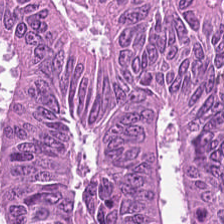Hematoxylin and eosin · 0.5 µm/px · 224×224 pixel tile.
The tissue is colorectal adenocarcinoma.
